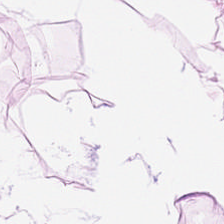H&E — adipocytes.
